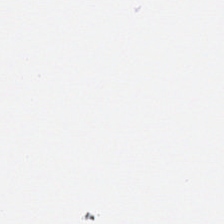Hematoxylin-and-eosin stained section. The classification is background.
